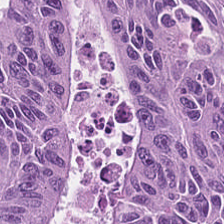Hematoxylin-and-eosin stained section — Q: What tissue is shown?
A: This is tumor epithelium.
